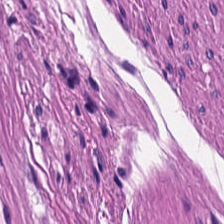0.5 µm per pixel. Hematoxylin-and-eosin stained section — Predominantly smooth muscle.
